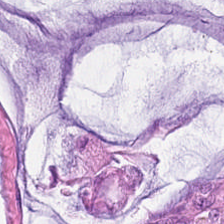H&E. Finding — extracellular mucin.
